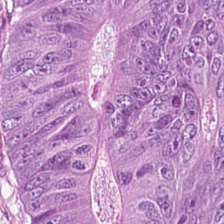Tissue: colorectal adenocarcinoma epithelium.
